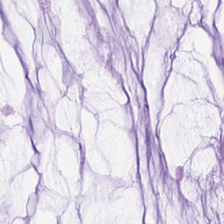H&E — Histology — extracellular mucin.
